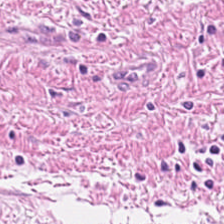Stain: hematoxylin-and-eosin stained section.
Tissue type: smooth-muscle tissue.
